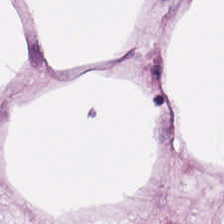Hematoxylin and eosin — Histology → adipocytes.
